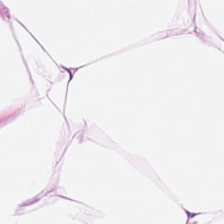Tissue type = fat tissue.
